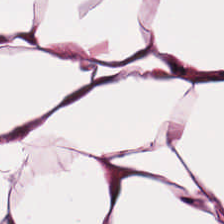H&E. Adipose.
